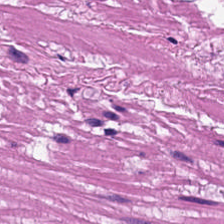H&E-stained tissue section. Histology → muscularis.
